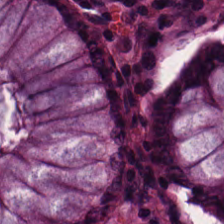H&E stain. The classification is benign colonic mucosa.
